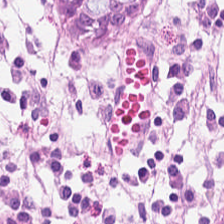H&E stain · 224×224 px tile.
Classification: benign colonic mucosa.
